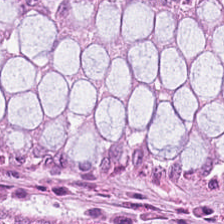Hematoxylin and eosin. {"tissue_type": "benign colonic mucosa"}
